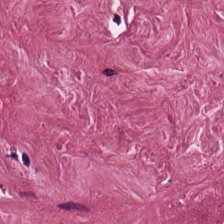Hematoxylin and eosin. Brightfield microscopy. {"tissue_type": "tumor-associated stroma"}
